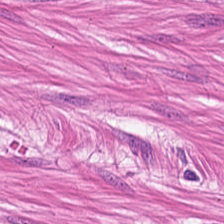Hematoxylin and eosin.
Tissue type = muscularis.
